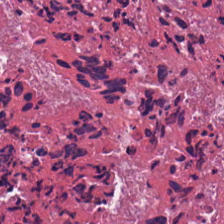Stain: H&E-stained tissue section.
Tissue class: debris.
